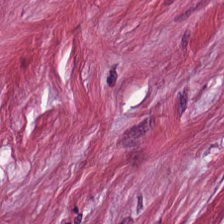H&E stain — The tissue class is cancer-associated stroma.
